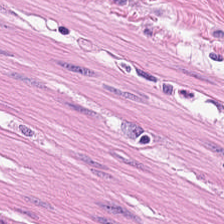Stain: H&E-stained tissue section.
Resolution: 20× equivalent magnification.
Classification: smooth-muscle tissue.
